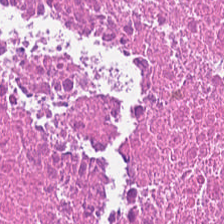H&E stain. Q: What type of tissue is this?
A: Debris.
